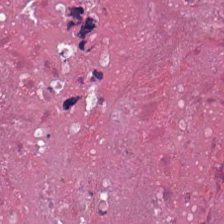H&E-stained tissue section showing necrotic debris.
